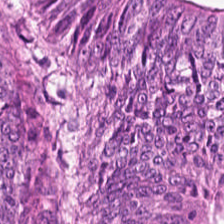Stain: hematoxylin and eosin.
Resolution: 0.5 microns per pixel.
Tile size: 224×224 px tile.
Tissue: tumor epithelium.
